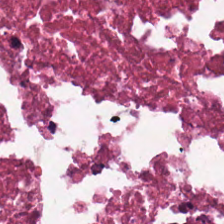H&E-stained tissue section — {"tissue_type": "necrotic debris"}
